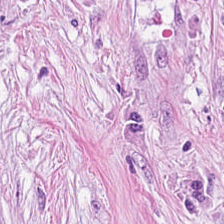H&E — Histology → tumor-associated stroma.
